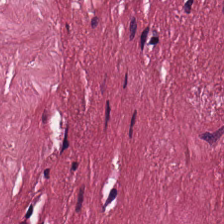This field is tumor-associated stroma.
